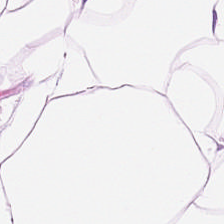Stain: H&E.
Tile size: 224×224 pixel tile.
Predominant tissue: adipose.
